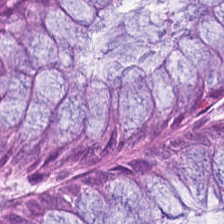H&E-stained tissue section.
Non-neoplastic colon mucosa.
